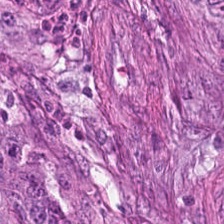Formalin-fixed paraffin-embedded section. H&E. 224×224 pixel tile — Colorectal adenocarcinoma.
